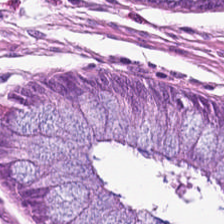224×224 pixel tile · hematoxylin and eosin. Impression — normal colon mucosa.
